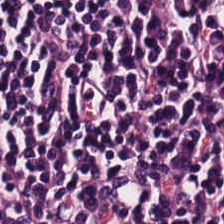Hematoxylin-and-eosin section: lymphocytic infiltrate.
